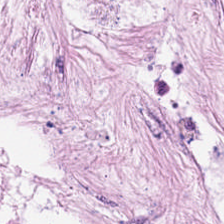Formalin-fixed paraffin-embedded section. H&E stain — Tissue type = tumor stroma.
